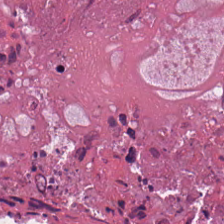Hematoxylin-and-eosin stained section. This field is cellular debris.
